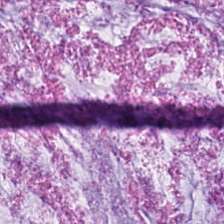Classification = extracellular mucin.
